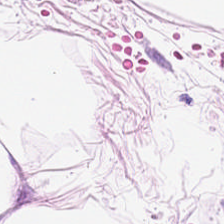Predominantly fat tissue.
